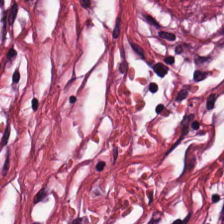Tissue: cancer-associated stroma.
